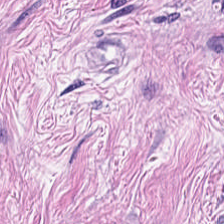Classification: desmoplastic stroma.
